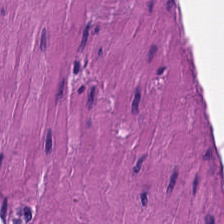Stain: hematoxylin and eosin.
Tissue class: muscularis.
